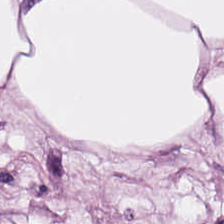Histology → adipose.
